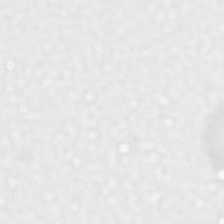Stain: hematoxylin-and-eosin stained section.
Resolution: 0.5 µm/px.
Field content: no tissue.
